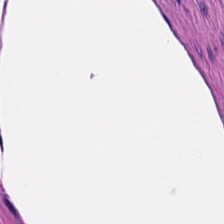Hematoxylin-and-eosin section: muscularis.
